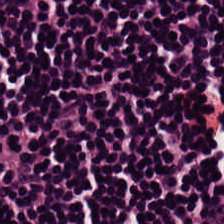Hematoxylin and eosin; brightfield microscopy; 224×224 pixel tile — The tissue here is lymphocytes.
